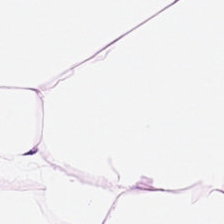Stain: H&E-stained tissue section.
Acquisition: WSI patch.
Resolution: 20× equivalent magnification.
Tissue: fat tissue.
